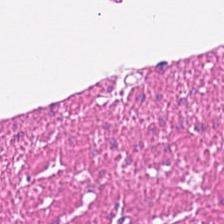Stain: hematoxylin and eosin.
Predominant tissue: muscularis.
